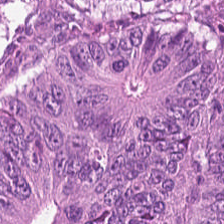H&E — This field is malignant epithelium.
